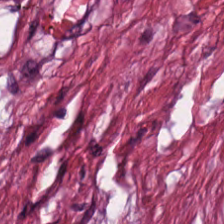Stain: hematoxylin and eosin.
Resolution: 0.5 µm per pixel.
Acquisition: brightfield.
Tissue class: desmoplastic stroma.
